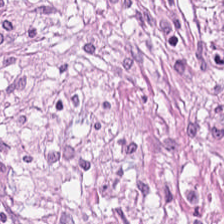0.5 microns per pixel · H&E-stained tissue section.
The predominant tissue is cancer-associated stroma.
